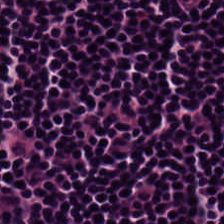Formalin-fixed paraffin-embedded section; H&E-stained tissue section.
Q: Identify the tissue.
A: This is lymphocytes.
